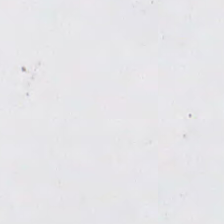Hematoxylin and eosin. FFPE tissue section.
Empty background.
